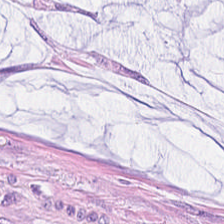H&E — mucus.
